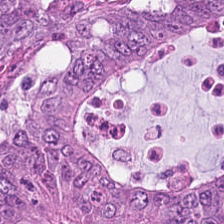Hematoxylin-and-eosin stained section. Tissue class = colorectal adenocarcinoma epithelium.
